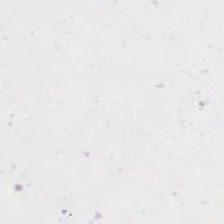Hematoxylin and eosin. Finding → no tissue.
